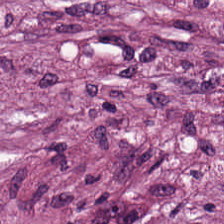H&E stain. Finding → tumor stroma.
